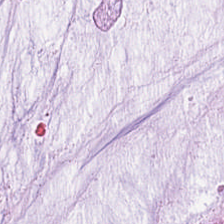WSI patch; hematoxylin-and-eosin stained section. Q: What is shown here?
A: Extracellular mucin.
